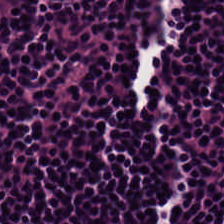H&E-stained tissue section.
The tissue here is lymphocytes.
